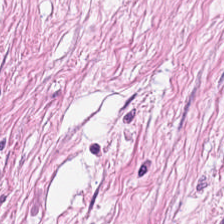224×224 px tile · H&E — Showing tumor-associated stroma.
